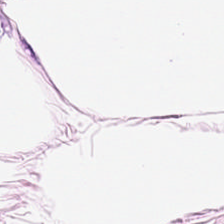FFPE tissue section. H&E-stained tissue section. Tissue class — fat tissue.
